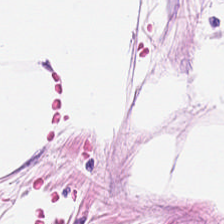H&E-stained tissue section. Q: Classify this patch.
A: Adipocytes.
